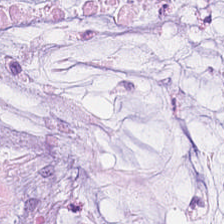Stain: H&E stain.
Classification: extracellular mucin.
